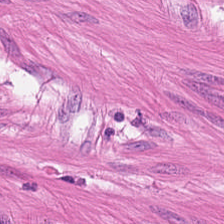H&E-stained tissue section — The tissue type is muscularis.
